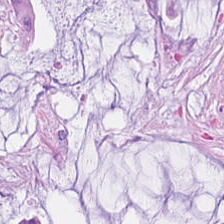The predominant tissue is mucus.
